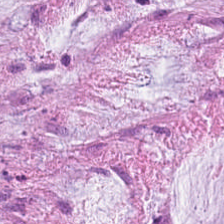Hematoxylin-and-eosin stained section. Predominantly extracellular mucin.
